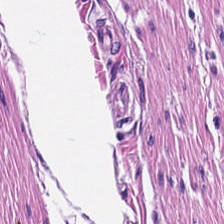H&E — smooth muscle.
